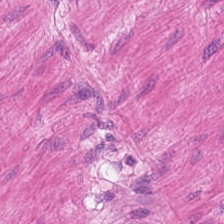Brightfield · H&E · FFPE. Classification — smooth muscle.
